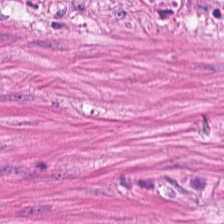H&E stain.
Finding — muscularis.
